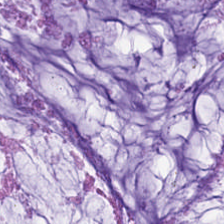H&E-stained tissue section. {"tissue_type": "mucus"}
